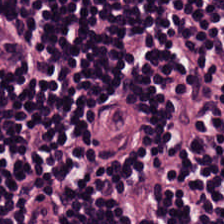224×224 pixel tile · H&E-stained tissue section · 0.5 microns per pixel. Showing lymphocyte aggregate.
